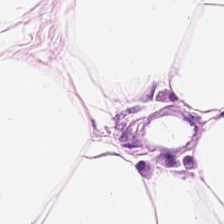H&E stain. Predominantly adipose tissue.
